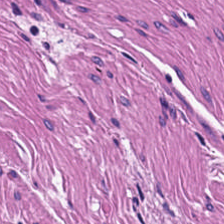Stain: H&E-stained tissue section.
Predominant tissue: smooth-muscle tissue.
